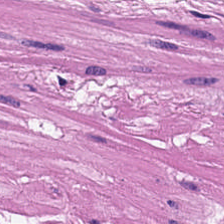{"tissue_type": "smooth muscle"}
